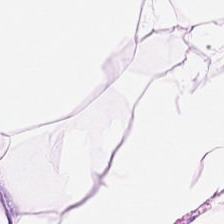FFPE; H&E-stained tissue section. Q: What does this patch show?
A: Fat tissue.
